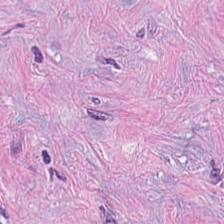224×224 pixel tile. Hematoxylin and eosin. This patch shows tumor stroma.
